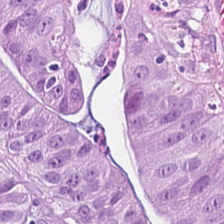Classification = malignant epithelium.
